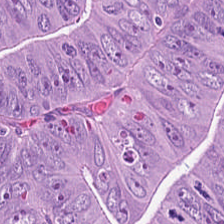H&E-stained tissue section — Showing colorectal adenocarcinoma epithelium.
